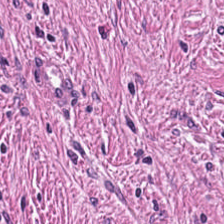Hematoxylin-and-eosin section: tumor stroma.
